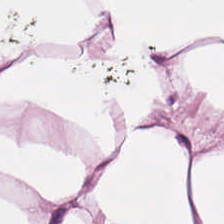WSI patch · H&E stain · FFPE — Adipocytes.
